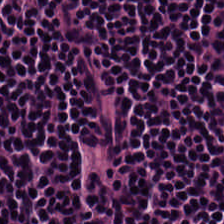Finding → lymphocytic infiltrate.
